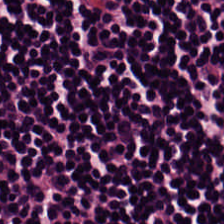Stain: H&E.
Predominant tissue: lymphocytic infiltrate.
